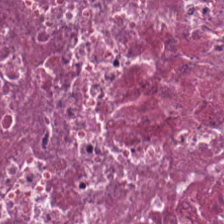Hematoxylin and eosin. 0.5 microns per pixel.
Q: What is shown here?
A: The field shows cellular debris.
